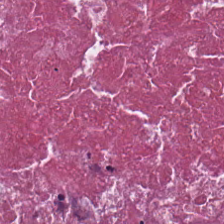Q: What tissue is shown?
A: Necrotic debris.
